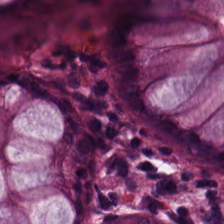Stain: H&E stain.
Tissue: non-neoplastic colon mucosa.
